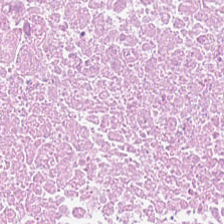H&E-stained tissue section showing cellular debris.
